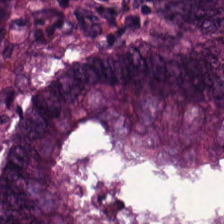Classification: malignant epithelium.
